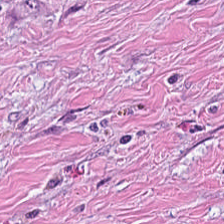Hematoxylin-and-eosin stained section. Classification: desmoplastic stroma.
